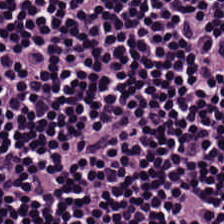Tissue type: lymphocytes.
